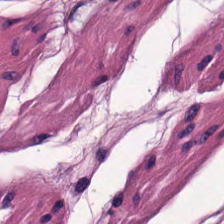Hematoxylin and eosin. {"tissue_type": "smooth muscle"}
